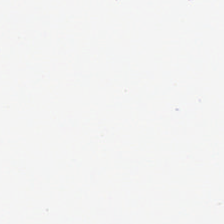Brightfield microscopy; hematoxylin-and-eosin stained section; formalin-fixed paraffin-embedded section — Background.
